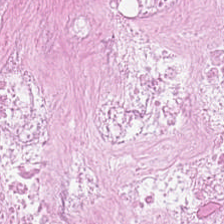0.5 µm/px · H&E-stained tissue section · 224×224 px patch.
Q: What is shown here?
A: This is debris.
